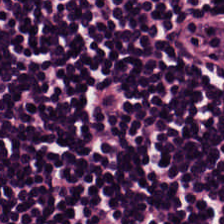Hematoxylin-and-eosin stained section.
Predominantly lymphocytes.
